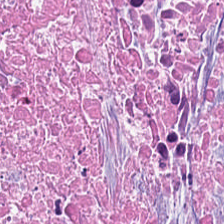The predominant tissue is necrotic debris.
